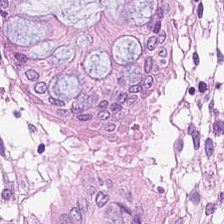0.5 µm/px; H&E — Q: What is shown here?
A: It is benign colonic mucosa.
